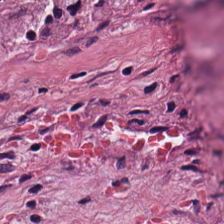Desmoplastic stroma.
